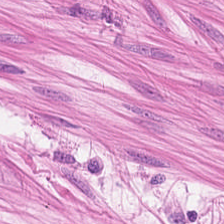H&E stain. Showing smooth-muscle tissue.
